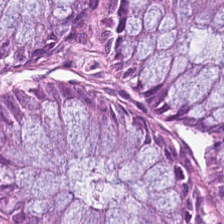H&E.
The predominant tissue is benign colonic mucosa.
